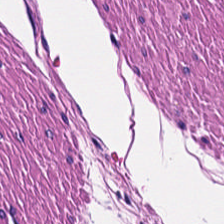H&E-stained tissue section; WSI patch. Finding — smooth-muscle tissue.
